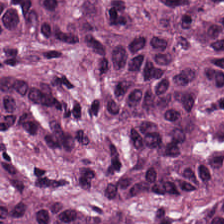0.5 µm/px; brightfield microscopy; H&E.
This field is malignant epithelium.
